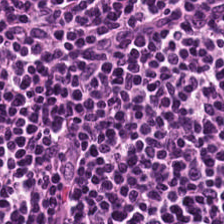Hematoxylin-and-eosin stained section · 224×224 px tile — Tissue type: lymphocytes.
